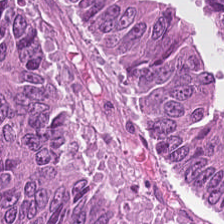Hematoxylin-and-eosin stained section. FFPE tissue section. Brightfield microscopy.
The predominant tissue is malignant epithelium.
